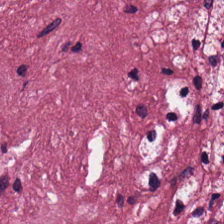H&E — Q: What type of tissue is this?
A: It is tumor-associated stroma.
